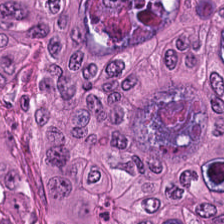Finding — malignant epithelium.
